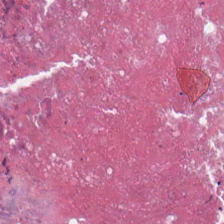Stain: hematoxylin-and-eosin stained section.
Predominant tissue: cellular debris.
